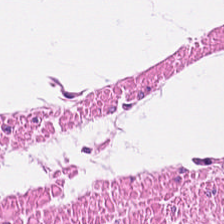H&E — Showing smooth muscle.
